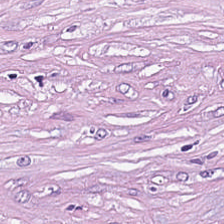Hematoxylin and eosin · formalin-fixed paraffin-embedded section.
Tissue: desmoplastic stroma.
